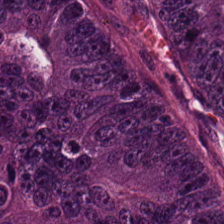224×224 px patch. H&E — Showing tumor epithelium.
